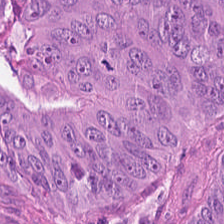Hematoxylin and eosin — {"tissue_type": "adenocarcinoma"}
